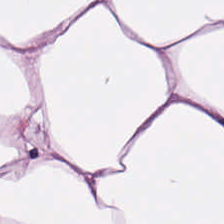Hematoxylin and eosin.
This patch shows adipose.
